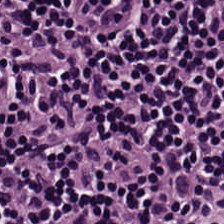H&E-stained tissue section; brightfield. Tissue — lymphocytes.
